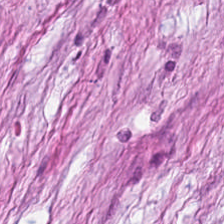H&E-stained tissue section. The tissue class is tumor-associated stroma.
